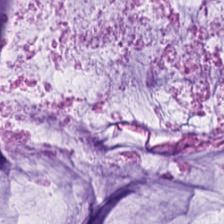Stain: H&E.
Predominant tissue: extracellular mucin.
